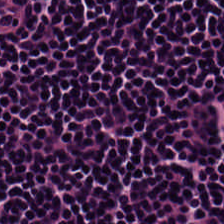H&E-stained section; the field shows lymphocyte aggregate.
